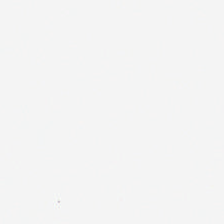H&E stain · brightfield.
This field is background (no tissue).
